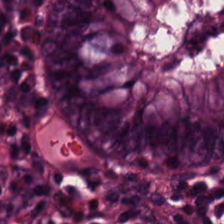H&E-stained tissue section. Q: What does this patch show?
A: Normal colon mucosa.
